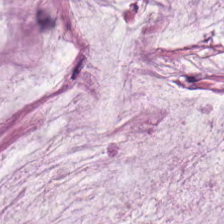Brightfield · FFPE · H&E stain.
{"tissue_type": "mucus"}
